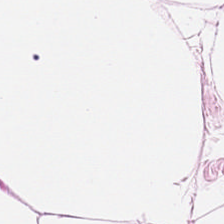Q: What tissue is shown?
A: This is adipocytes.
